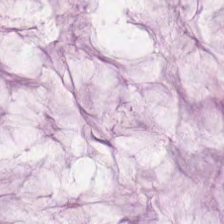Predominant tissue: mucus.
